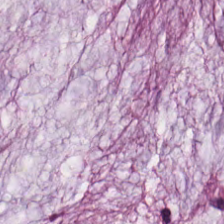Stain: H&E.
Tile size: 224×224 px patch.
Preparation: formalin-fixed paraffin-embedded section.
Predominant tissue: mucin.
